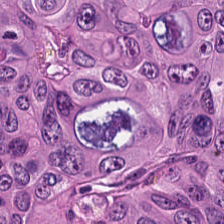Hematoxylin and eosin — Q: What tissue type is shown here?
A: The field shows adenocarcinoma.
